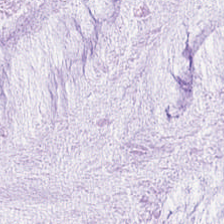0.5 microns per pixel; H&E; whole-slide-image patch — Finding — extracellular mucin.
